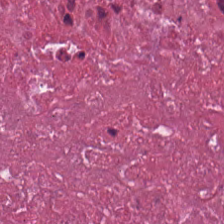FFPE. Hematoxylin and eosin.
Tissue — debris.
